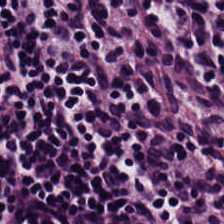H&E; 224×224 pixel tile; FFPE. Lymphocyte aggregate.
